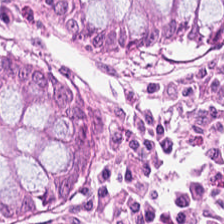Hematoxylin-and-eosin stained section. FFPE. The classification is benign colonic mucosa.
